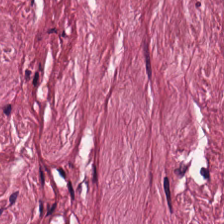Showing tumor-associated stroma.
